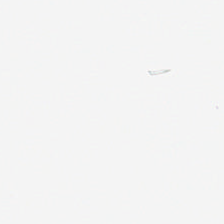Whole-slide-image patch; H&E.
Content: empty background.
